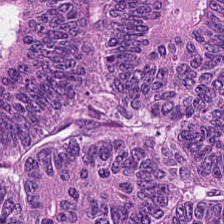Q: What tissue type is shown here?
A: Colorectal adenocarcinoma.
